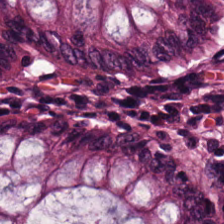This field is benign colonic mucosa.
